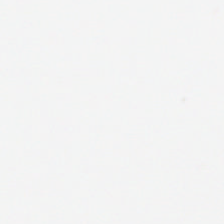Hematoxylin-and-eosin stained section — Field content = no tissue.
